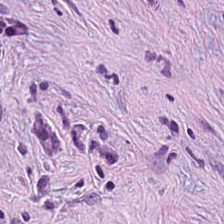Hematoxylin and eosin — Q: What is shown here?
A: The field shows tumor-associated stroma.
